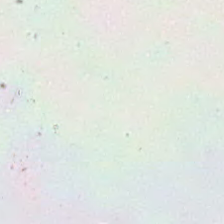H&E-stained tissue section; 0.5 µm/px; FFPE. This field is background (no tissue).
